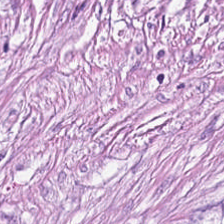0.5 microns per pixel. 224×224 pixel tile. Hematoxylin-and-eosin stained section. Predominant tissue — cancer-associated stroma.
